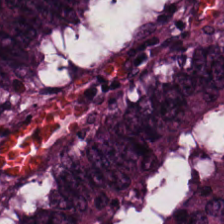H&E patch showing colorectal adenocarcinoma.
